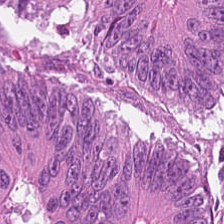Stain: H&E stain.
Tissue type: colorectal adenocarcinoma.
